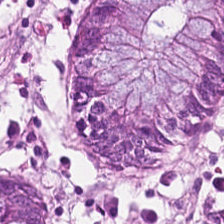Whole-slide-image patch. 224×224 px patch. H&E — Histology — normal colon mucosa.
